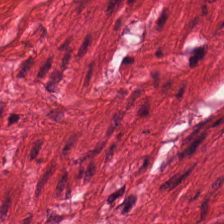Hematoxylin-and-eosin stained section. 224×224 pixel tile.
Showing smooth muscle.
